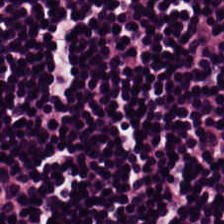Hematoxylin and eosin. 0.5 µm/px. Formalin-fixed paraffin-embedded section. The predominant tissue is lymphoid infiltrate.
